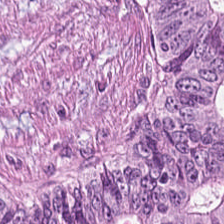Hematoxylin and eosin.
Predominantly colorectal adenocarcinoma epithelium.
